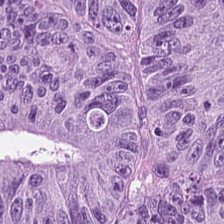H&E-stained tissue section — The predominant tissue is colorectal adenocarcinoma epithelium.
